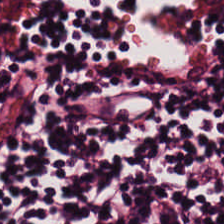H&E — {"tissue_type": "lymphoid infiltrate"}
